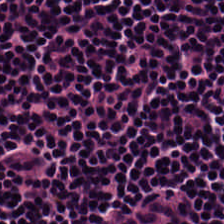Stain: hematoxylin-and-eosin stained section.
Tissue type: lymphocytic infiltrate.
